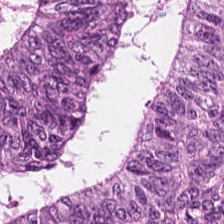H&E — malignant epithelium.
